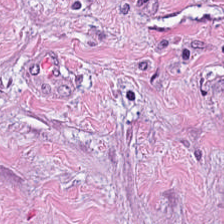Stain: H&E-stained tissue section.
Tissue type: cancer-associated stroma.
